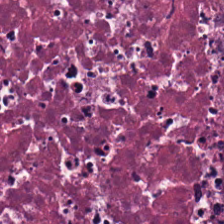Showing debris.
